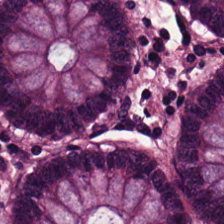H&E. Q: What tissue is shown?
A: It is normal colon mucosa.
